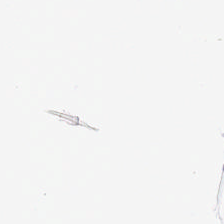Formalin-fixed paraffin-embedded section. Brightfield. Hematoxylin and eosin — This field is background (no tissue).
